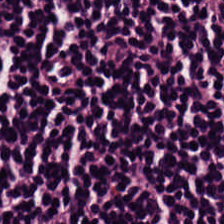Stain: hematoxylin and eosin.
Acquisition: brightfield microscopy.
Tissue type: lymphocytes.
